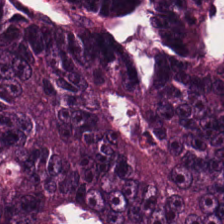Stain: H&E.
Tissue type: tumor epithelium.
